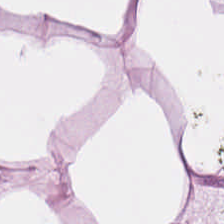Hematoxylin and eosin. 224×224 px patch — {"tissue_type": "adipose tissue"}
